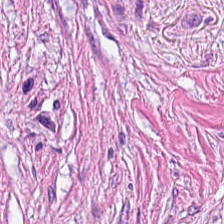H&E; 224×224 px tile. Q: What tissue is shown?
A: It is desmoplastic stroma.
